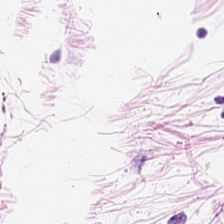Q: What does this patch show?
A: The field shows fat tissue.
